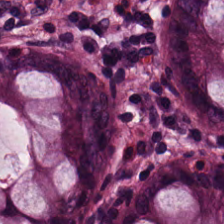Hematoxylin-and-eosin stained section. The predominant tissue is non-neoplastic colon mucosa.
